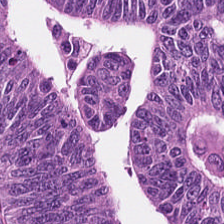H&E-stained tissue section. Finding → tumor epithelium.
